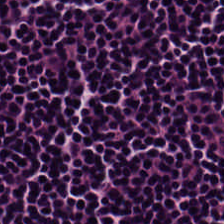20× equivalent magnification · H&E-stained tissue section — Tissue = lymphoid infiltrate.
